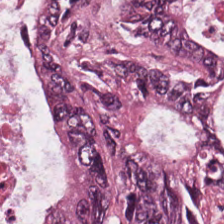The tissue class is colorectal adenocarcinoma epithelium.
